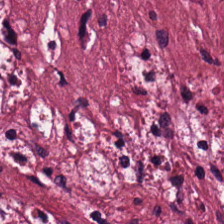Q: What is shown in this field?
A: Cancer-associated stroma.
